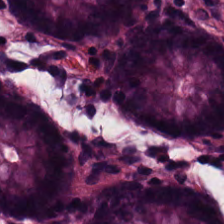Hematoxylin and eosin — Predominantly normal colonic mucosa.
